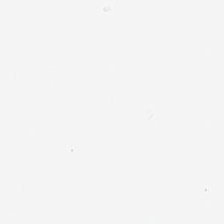Hematoxylin and eosin.
Background.
